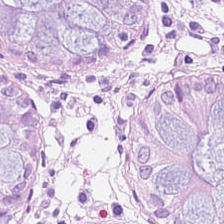H&E-stained tissue section.
The predominant tissue is benign colonic mucosa.
